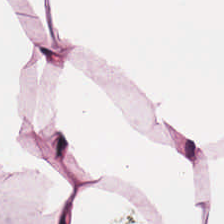H&E stain. Tissue: adipose tissue.
